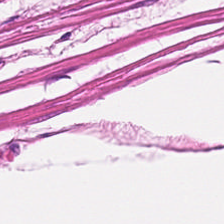H&E — Q: What is shown here?
A: The field shows smooth muscle.
